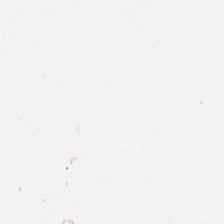H&E-stained tissue section — Q: What is shown in this field?
A: The field shows background (no tissue).
